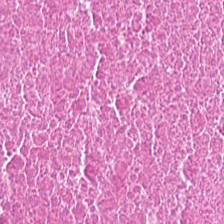H&E. Predominant tissue = debris.
